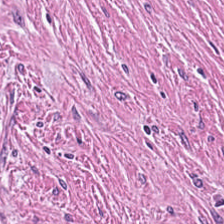H&E stain. 224×224 pixel tile. Impression — tumor-associated stroma.
